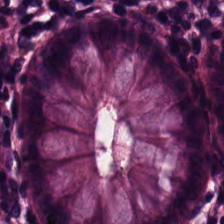Finding → normal colon mucosa.
